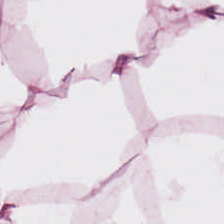H&E stain · 224×224 pixel tile. The predominant tissue is adipocytes.
